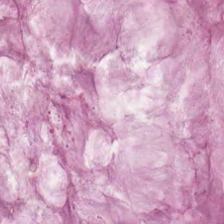Tissue class — mucin.
